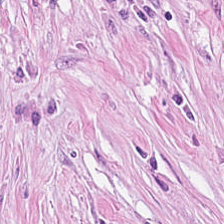Stain: H&E stain.
Tissue type: tumor-associated stroma.
